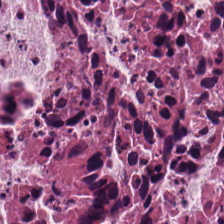Hematoxylin-and-eosin stained section. The predominant tissue is necrotic debris.
